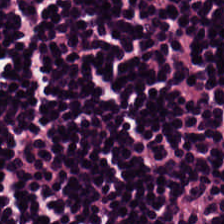224×224 px patch; H&E-stained tissue section.
The tissue here is lymphocytes.
